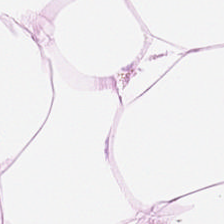Histology — adipose.
